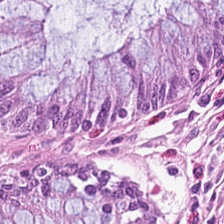H&E stain · brightfield.
Q: What does this patch show?
A: The field shows benign colonic mucosa.
